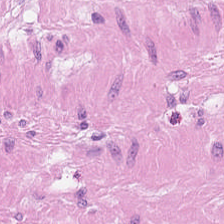H&E — Q: What tissue is shown?
A: The field shows muscularis.
